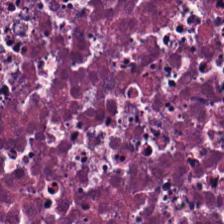Stain: H&E.
Classification: necrotic debris.
